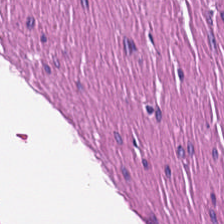0.5 µm/px · FFPE · hematoxylin and eosin — {"tissue_type": "smooth muscle"}
